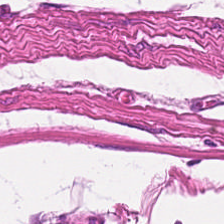0.5 µm/px. Hematoxylin-and-eosin stained section. FFPE tissue section. Smooth-muscle tissue.
